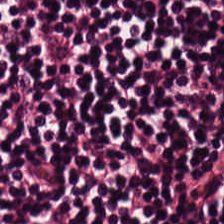Brightfield microscopy · hematoxylin-and-eosin stained section · formalin-fixed paraffin-embedded section.
Q: What tissue is shown?
A: The field shows lymphocytic infiltrate.
